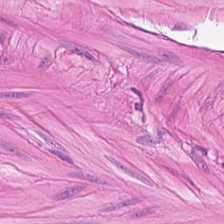Predominant tissue: muscularis.
